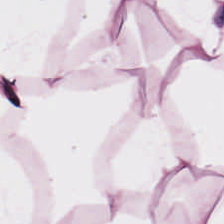Predominant tissue = adipose tissue.
